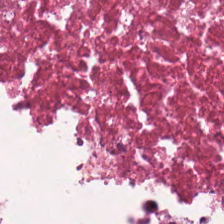H&E.
Showing cellular debris.
